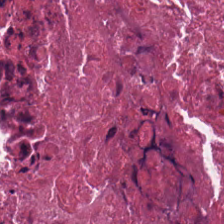H&E. Tissue = cellular debris.
